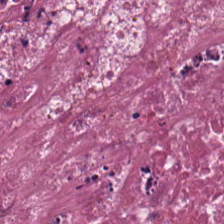H&E stain — Tissue class = necrotic debris.
